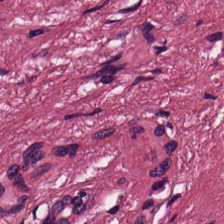Formalin-fixed paraffin-embedded section. H&E.
Q: What type of tissue is this?
A: The field shows tumor-associated stroma.
